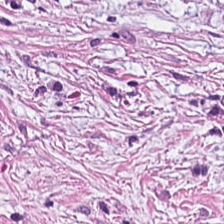Hematoxylin and eosin — Q: What tissue is shown?
A: Tumor-associated stroma.
